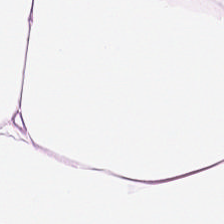Showing adipose.
